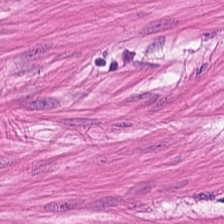H&E — The tissue type is smooth-muscle tissue.
